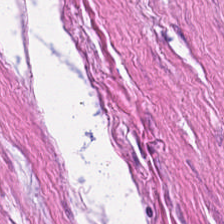WSI patch; 0.5 µm per pixel; H&E — The tissue is muscularis.
